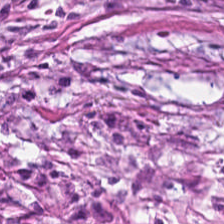This field is desmoplastic stroma.
